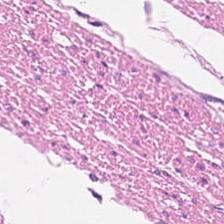Stain: H&E stain.
Preparation: FFPE tissue section.
Tissue: muscularis.
